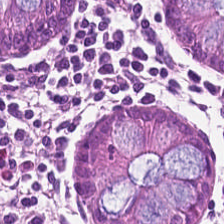H&E-stained tissue section. Tissue: normal colon mucosa.
